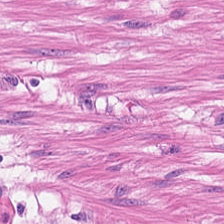0.5 microns per pixel; H&E. This patch shows smooth-muscle tissue.
